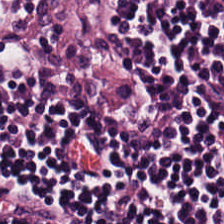H&E stain — Finding — lymphocyte aggregate.
